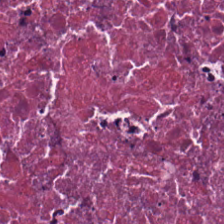H&E-stained tissue section.
Predominant tissue — debris.
